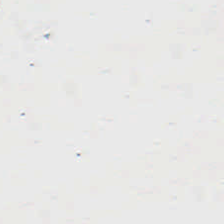H&E stain. Q: Classify this patch.
A: It is background.
